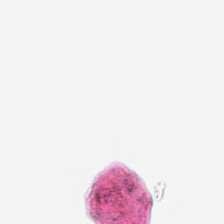H&E-stained tissue section. The classification is background.
